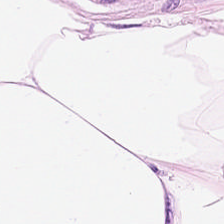This field is adipose.
